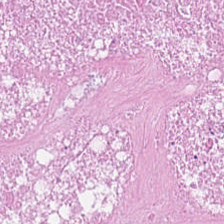Hematoxylin-and-eosin stained section. FFPE tissue section. Q: What does this patch show?
A: The field shows cellular debris.
